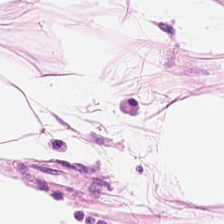Stain: H&E.
Classification: adipose tissue.
